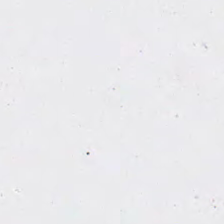Impression — empty background.
